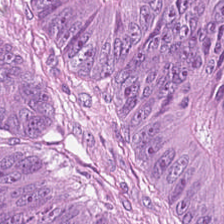Predominantly colorectal adenocarcinoma.
